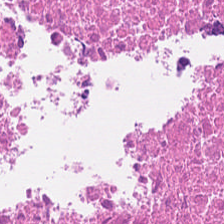Hematoxylin and eosin; 224×224 px patch; FFPE.
{"tissue_type": "cellular debris"}
